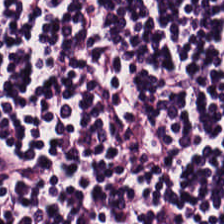H&E · 20× equivalent magnification.
The predominant tissue is lymphocytic infiltrate.
